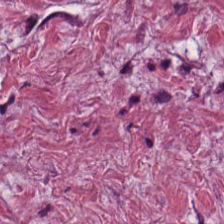Stain: H&E stain.
Acquisition: whole-slide-image patch.
Predominant tissue: tumor-associated stroma.
